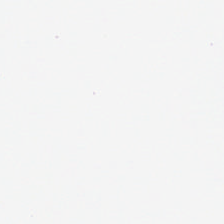Hematoxylin and eosin. No tissue present; background only.
